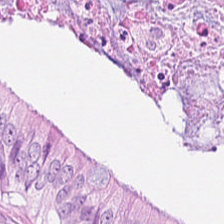H&E-stained tissue section · 20× equivalent magnification.
Q: Identify the tissue.
A: It is colorectal adenocarcinoma.
